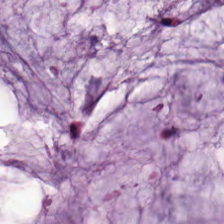Tissue — mucus.
